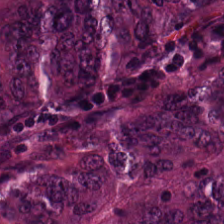0.5 microns per pixel · hematoxylin and eosin · brightfield microscopy. {"tissue_type": "malignant epithelium"}
